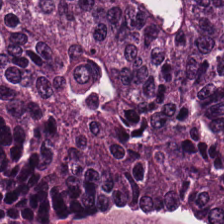Formalin-fixed paraffin-embedded section · hematoxylin and eosin.
Predominantly colorectal adenocarcinoma epithelium.
